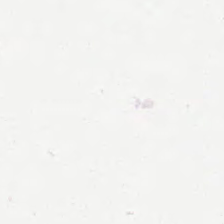Hematoxylin and eosin.
Empty field — background.
